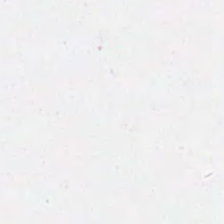H&E. Finding → no tissue.
